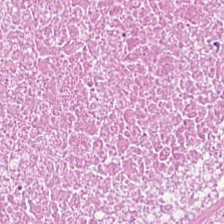0.5 microns per pixel · brightfield microscopy · H&E stain.
Q: What tissue is shown?
A: It is debris.
